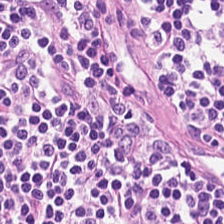Q: What type of tissue is this?
A: The field shows lymphocytic infiltrate.
